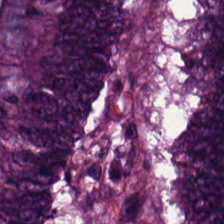H&E-stained tissue section. The predominant tissue is colorectal adenocarcinoma.
